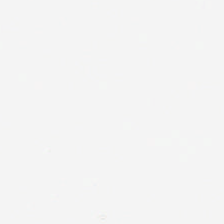H&E-stained tissue section; FFPE — Background.
